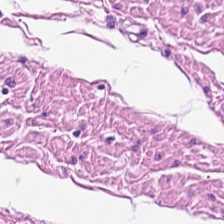H&E. 20× equivalent magnification.
Q: What type of tissue is this?
A: It is smooth-muscle tissue.
